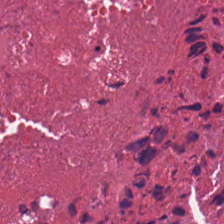Stain: H&E stain.
Tile size: 224×224 pixel tile.
Predominant tissue: cellular debris.
